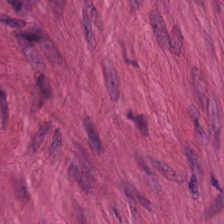Hematoxylin-and-eosin stained section · 224×224 px tile · brightfield — This field is muscularis.
